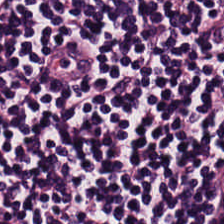Hematoxylin and eosin.
Tissue — lymphocytes.
